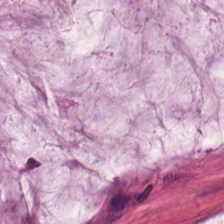Hematoxylin-and-eosin stained section; brightfield microscopy; FFPE tissue section.
Finding — extracellular mucin.
